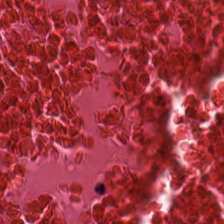Q: What is the predominant tissue type?
A: It is debris.
